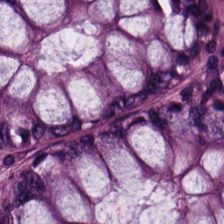H&E stain; FFPE. Predominantly normal colonic mucosa.
